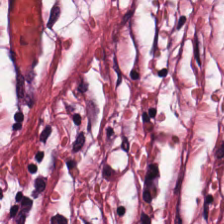0.5 microns per pixel. H&E stain. FFPE tissue section.
The classification is tumor stroma.
